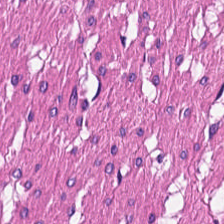Hematoxylin-and-eosin stained section — Smooth-muscle tissue.
